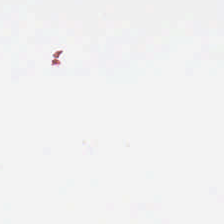H&E.
Background.
